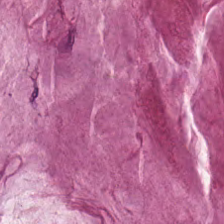Predominant tissue = mucin.
